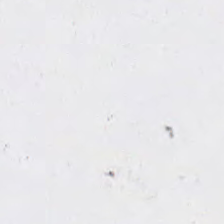0.5 microns per pixel. 224×224 px patch. H&E-stained tissue section.
Impression — background.
